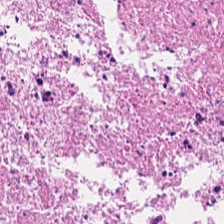H&E. Brightfield. 20× equivalent magnification. This patch shows necrotic debris.
